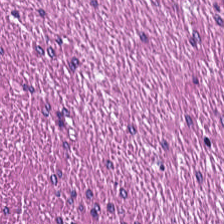Brightfield · H&E-stained tissue section · 224×224 pixel tile — Impression — smooth muscle.
